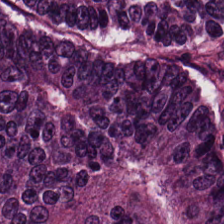This field is adenocarcinoma.
